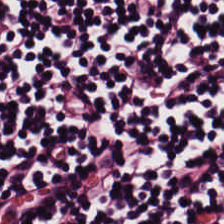Hematoxylin-and-eosin section: lymphocytic infiltrate.
